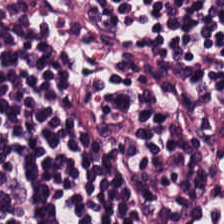H&E-stained tissue section.
Lymphocyte aggregate.
